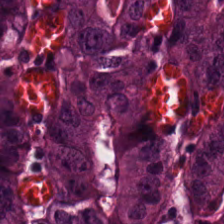0.5 µm/px; hematoxylin and eosin; FFPE tissue section.
Finding → adenocarcinoma.
